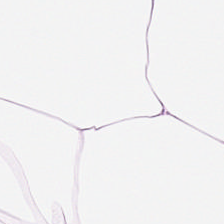Whole-slide-image patch; H&E stain.
Tissue class = adipocytes.
